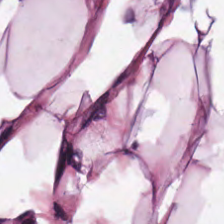Hematoxylin and eosin. 0.5 microns per pixel. Formalin-fixed paraffin-embedded section. This field is adipose tissue.
